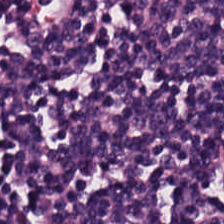H&E stain. Tissue = lymphocytes.
